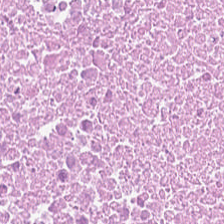0.5 µm per pixel · H&E-stained tissue section · formalin-fixed paraffin-embedded section.
Debris.
